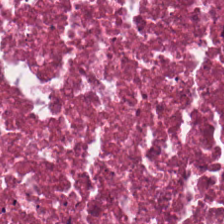Hematoxylin-and-eosin stained section. Predominantly necrotic debris.
